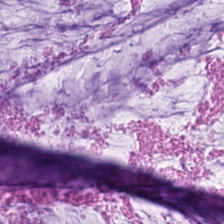Showing mucin.
